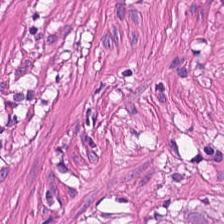Hematoxylin-and-eosin stained section; formalin-fixed paraffin-embedded section — Q: What tissue is shown?
A: The field shows muscularis.
